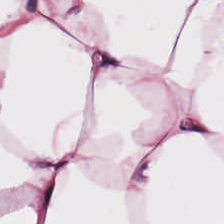H&E · brightfield · 224×224 px patch — This patch shows adipose tissue.
